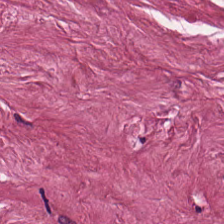This patch shows cancer-associated stroma.
